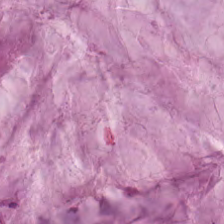Hematoxylin and eosin.
Q: What tissue type is shown here?
A: It is mucus.
